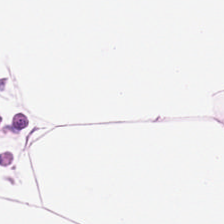Hematoxylin-and-eosin stained section. Formalin-fixed paraffin-embedded section. 0.5 µm per pixel.
Tissue type = adipose tissue.
